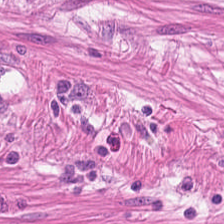224×224 px tile. Hematoxylin and eosin.
Histology — muscularis.
